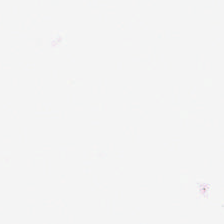Q: Classify this patch.
A: The field shows background (no tissue).
